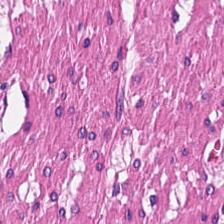Hematoxylin-and-eosin stained section — Predominantly muscularis.
